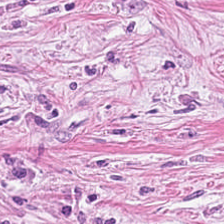Q: What tissue type is shown here?
A: The field shows tumor-associated stroma.
